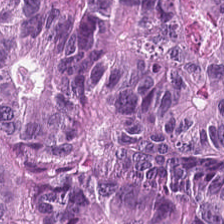Finding → colorectal adenocarcinoma epithelium.
